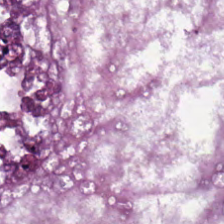Malignant epithelium.
